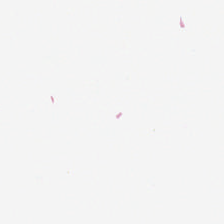FFPE · H&E — Finding → background (no tissue).
